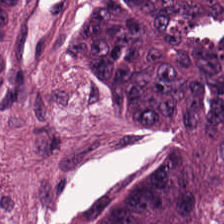Hematoxylin and eosin. Q: Classify this patch.
A: It is tumor epithelium.
